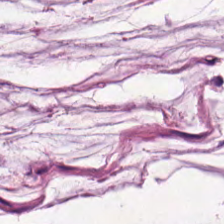WSI patch; H&E-stained tissue section; 224×224 px tile. The predominant tissue is extracellular mucin.
